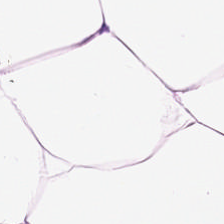H&E; 224×224 px patch. {"tissue_type": "adipose"}
